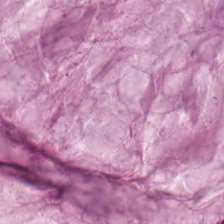Hematoxylin-and-eosin stained section.
Showing extracellular mucin.
